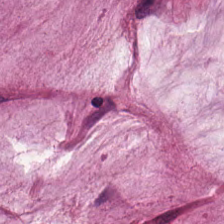Hematoxylin and eosin.
Tissue = mucus.
